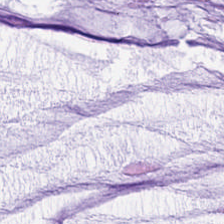Hematoxylin-and-eosin stained section. Q: What tissue type is shown here?
A: This is extracellular mucin.
